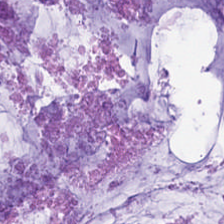0.5 µm per pixel · hematoxylin-and-eosin stained section — Q: Classify this patch.
A: This is mucin.
